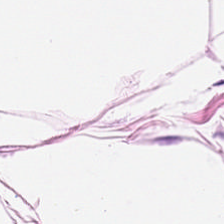224×224 px patch; H&E stain. {"tissue_type": "adipose tissue"}
